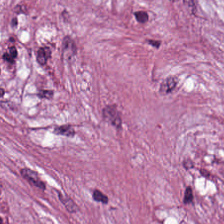Stain: H&E stain.
Tile size: 224×224 pixel tile.
Classification: tumor stroma.
